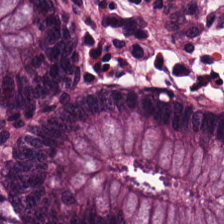H&E stain · brightfield microscopy — Showing benign colonic mucosa.
